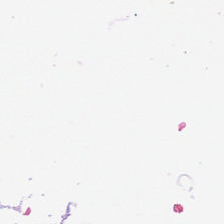Stain: H&E stain.
Classification: no tissue.
